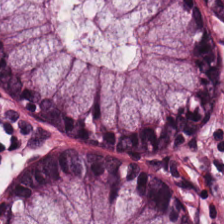0.5 microns per pixel; WSI patch; H&E-stained tissue section. The predominant tissue is non-neoplastic colon mucosa.
